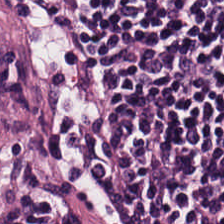H&E stain.
This field is lymphocytic infiltrate.
